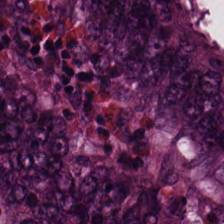H&E-stained tissue section — Colorectal adenocarcinoma.
